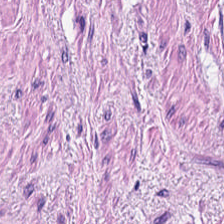Hematoxylin-and-eosin stained section.
Q: What is the predominant tissue type?
A: It is smooth muscle.
